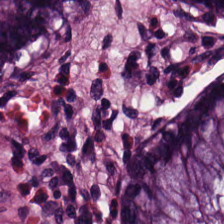Finding → non-neoplastic colon mucosa.
